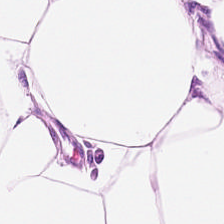Hematoxylin-and-eosin stained section — The tissue here is adipose.
